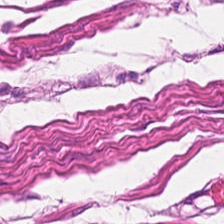0.5 µm/px. H&E. This field is smooth-muscle tissue.
